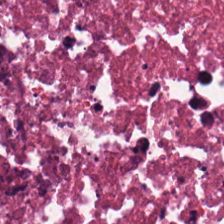H&E stain. {"tissue_type": "necrotic debris"}
